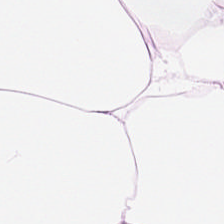H&E — Showing adipose tissue.
